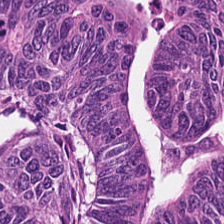Hematoxylin and eosin. This patch shows tumor epithelium.
